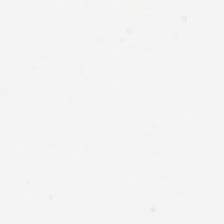Hematoxylin-and-eosin stained section — Q: What is shown here?
A: This is background (no tissue).
